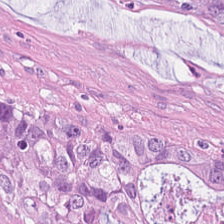Tissue type = colorectal adenocarcinoma.
